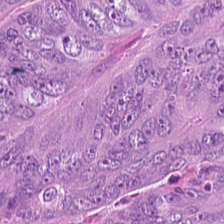Hematoxylin-and-eosin stained section — Predominant tissue = malignant epithelium.
